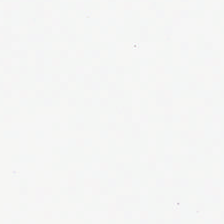0.5 µm per pixel · H&E · FFPE. Content = no tissue.
